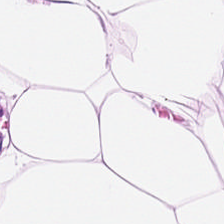Hematoxylin-and-eosin stained section — This field is fat tissue.
